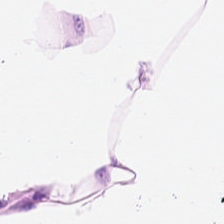H&E stain.
Predominantly adipose.
